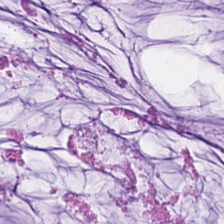Hematoxylin and eosin.
Finding → mucin.
